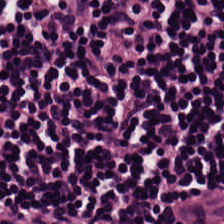Stain: H&E stain.
Tissue: lymphocyte aggregate.
